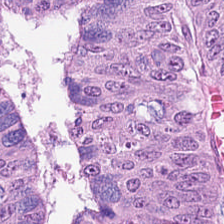Hematoxylin-and-eosin stained section — Predominantly adenocarcinoma.
